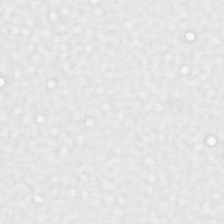H&E stain.
Field content — background.
